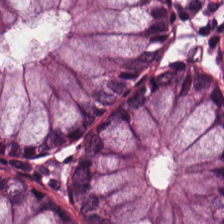Hematoxylin and eosin; formalin-fixed paraffin-embedded section; 224×224 px patch.
Benign colonic mucosa.
